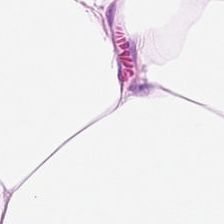Showing fat tissue.
